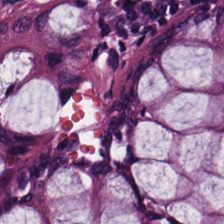Hematoxylin and eosin; 224×224 px tile; formalin-fixed paraffin-embedded section — This patch shows non-neoplastic colon mucosa.
